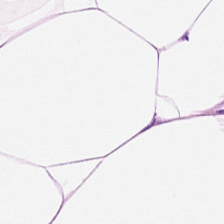Hematoxylin and eosin — The tissue here is adipose.
